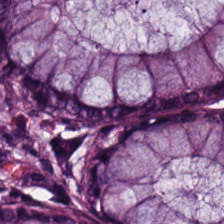Predominant tissue — non-neoplastic colon mucosa.
